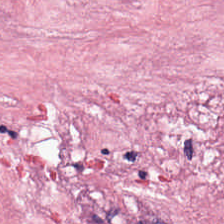The tissue is tumor stroma.
